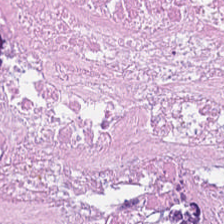H&E. This patch shows cellular debris.
